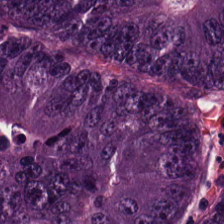H&E.
Tissue class: colorectal adenocarcinoma epithelium.
